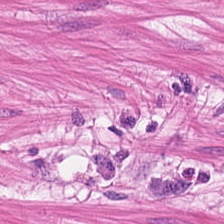H&E — Tissue type — smooth-muscle tissue.
